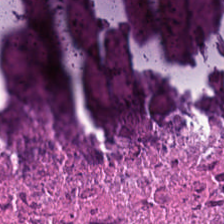0.5 µm per pixel · H&E stain — Q: What tissue type is shown here?
A: The field shows necrotic debris.
